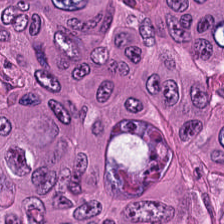Impression → colorectal adenocarcinoma.
